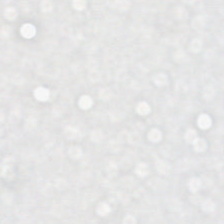224×224 pixel tile · H&E stain · whole-slide-image patch — Content = background (no tissue).
